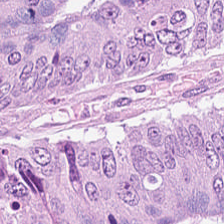Hematoxylin-and-eosin stained section — The classification is tumor epithelium.
